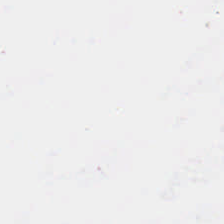The field content is background (no tissue).
